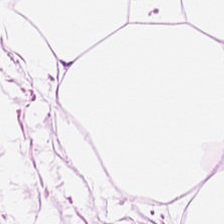H&E — Tissue type: adipose.
